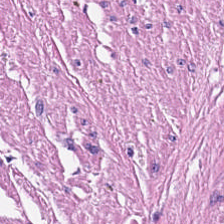Whole-slide-image patch · H&E stain.
{"tissue_type": "smooth-muscle tissue"}
